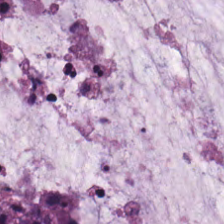WSI patch. H&E stain.
{"tissue_type": "mucin"}
